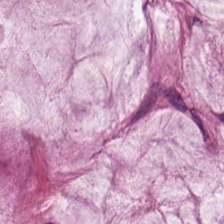H&E-stained tissue section; whole-slide-image patch; 224×224 px patch.
This patch shows extracellular mucin.
